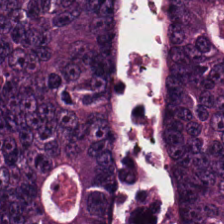Hematoxylin and eosin.
Q: Classify this patch.
A: It is colorectal adenocarcinoma epithelium.
